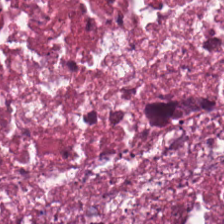Stain: H&E stain.
Resolution: 20× equivalent magnification.
Preparation: FFPE.
Tissue class: debris.
